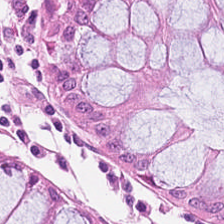Hematoxylin and eosin. FFPE tissue section.
Tissue type: benign colonic mucosa.
